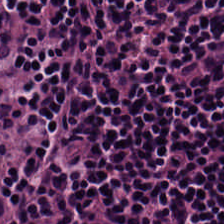Stain: hematoxylin and eosin.
Tissue: lymphoid infiltrate.
